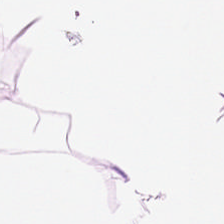WSI patch; 224×224 pixel tile; H&E stain — Tissue — adipose tissue.
